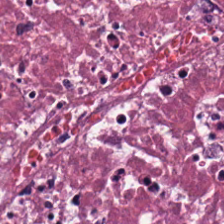H&E — Q: What tissue is shown?
A: The field shows necrotic debris.
